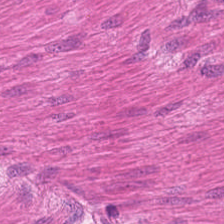H&E stain — Tissue: smooth muscle.
